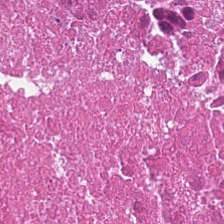Predominantly necrotic debris.
